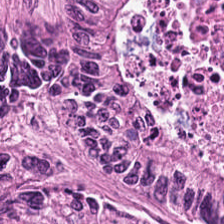Hematoxylin and eosin. WSI patch. Showing malignant epithelium.
